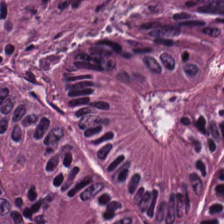Hematoxylin and eosin.
Colorectal adenocarcinoma epithelium.
